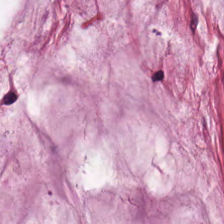Tissue type — mucin.
